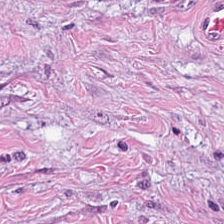The predominant tissue is cancer-associated stroma.
